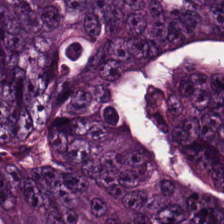Tissue type: colorectal adenocarcinoma epithelium.
